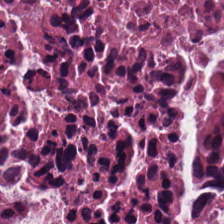The tissue is debris.
